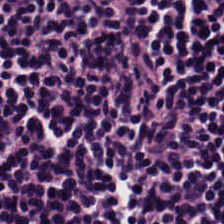H&E — Predominant tissue: lymphocytic infiltrate.
